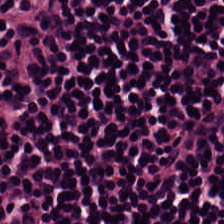224×224 pixel tile. Hematoxylin and eosin.
Showing lymphocytic infiltrate.
